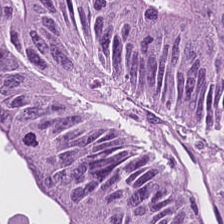0.5 microns per pixel. Hematoxylin and eosin. Q: Identify the tissue.
A: Malignant epithelium.
